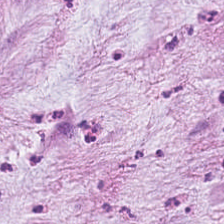20× equivalent magnification; H&E stain — Mucin.
